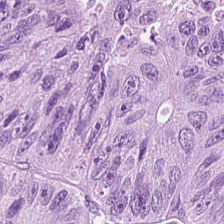H&E stain — Finding — adenocarcinoma.
